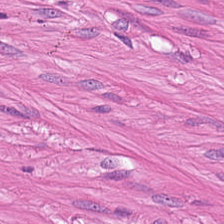H&E-stained tissue section. The tissue here is muscularis.
